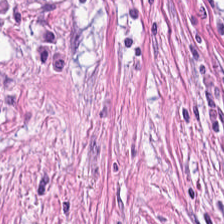H&E · brightfield — The tissue class is tumor stroma.
